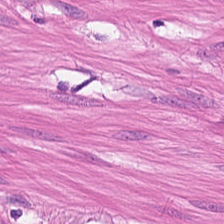{"tissue_type": "muscularis"}
